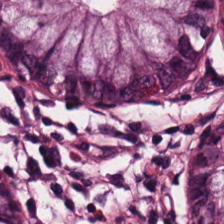H&E stain.
Q: What does this patch show?
A: Non-neoplastic colon mucosa.
